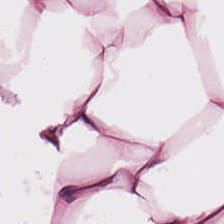H&E-stained tissue section.
Q: What tissue type is shown here?
A: This is adipocytes.
